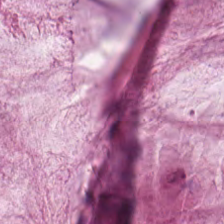Q: What is shown here?
A: It is mucus.
